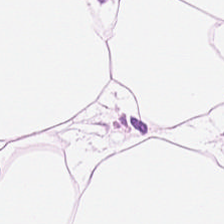Hematoxylin-and-eosin stained section · 0.5 µm/px · formalin-fixed paraffin-embedded section — Finding → adipose tissue.
